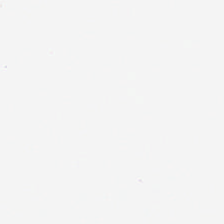Hematoxylin-and-eosin stained section. No tissue.
